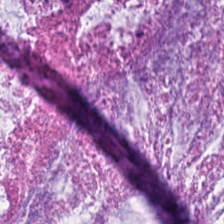H&E-stained tissue section.
Tissue — mucus.
